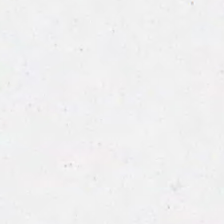H&E.
No tissue present; background only.
